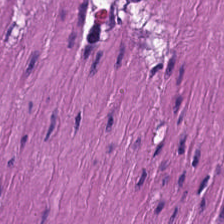H&E patch showing smooth muscle.
